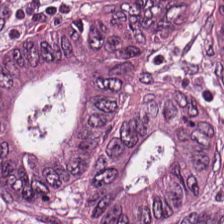Hematoxylin and eosin. The predominant tissue is colorectal adenocarcinoma epithelium.
